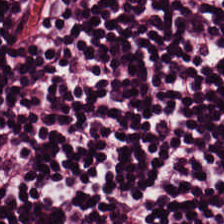Stain: hematoxylin-and-eosin stained section.
Tissue class: lymphocyte aggregate.
